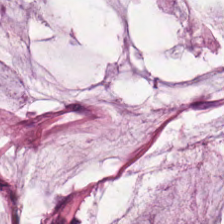Stain: hematoxylin and eosin.
Predominant tissue: mucus.
